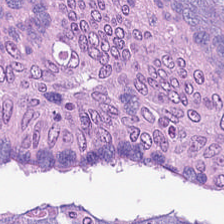0.5 µm per pixel. Hematoxylin and eosin. 224×224 px tile. Finding — adenocarcinoma.
